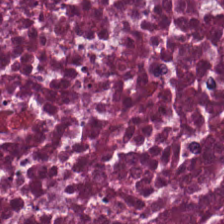Impression — debris.
